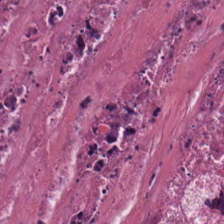Tissue type = debris.
